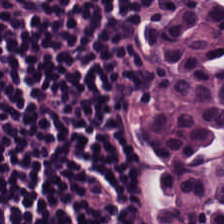Tissue type — lymphocytes.
